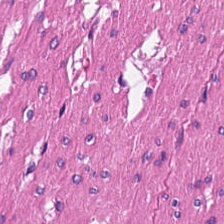Hematoxylin and eosin; whole-slide-image patch; FFPE — Tissue type: muscularis.
